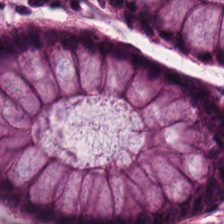Predominantly normal colon mucosa.
